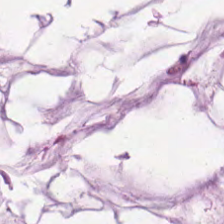Tissue class: extracellular mucin.
